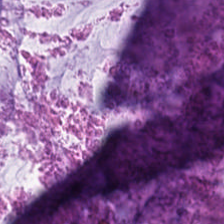H&E-stained tissue section; 0.5 µm/px.
Q: What type of tissue is this?
A: Extracellular mucin.
